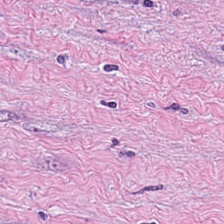Q: Classify this patch.
A: Tumor-associated stroma.
